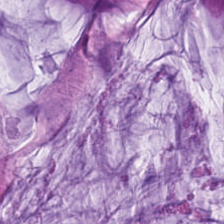Brightfield microscopy; H&E stain; FFPE — Showing mucin.
